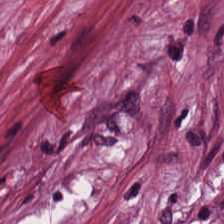H&E-stained section; the field shows desmoplastic stroma.
